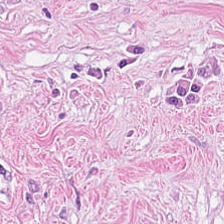Hematoxylin-and-eosin stained section. The tissue here is tumor stroma.
